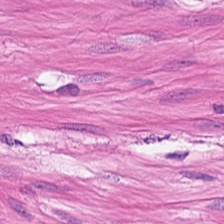H&E. The tissue class is smooth muscle.
